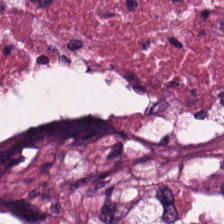H&E stain.
This field is debris.
